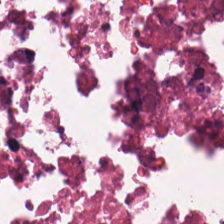Hematoxylin and eosin.
Predominantly necrotic debris.
